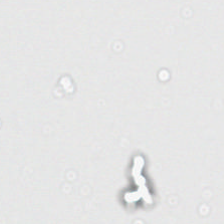No tissue present; background only.
